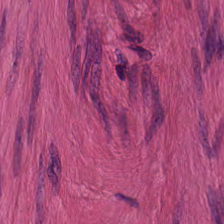FFPE tissue section · H&E stain — Smooth muscle.
